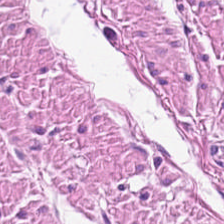Hematoxylin and eosin; 20× equivalent magnification; 224×224 px patch.
The tissue here is smooth muscle.
